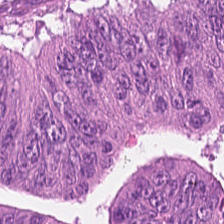Hematoxylin and eosin. WSI patch. FFPE tissue section. This field is malignant epithelium.
